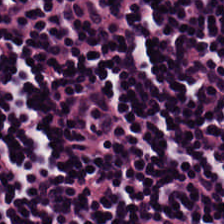Predominant tissue: lymphoid infiltrate.
